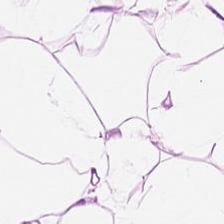H&E-stained tissue section.
Classification — adipose.
